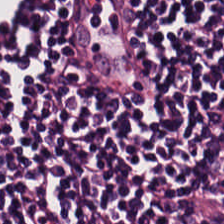FFPE; H&E-stained tissue section; 0.5 µm per pixel — Predominantly lymphocytic infiltrate.
